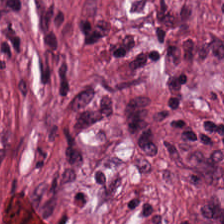Hematoxylin and eosin.
Q: What tissue type is shown here?
A: It is tumor-associated stroma.
